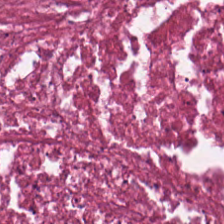224×224 pixel tile; hematoxylin and eosin — Finding → debris.
